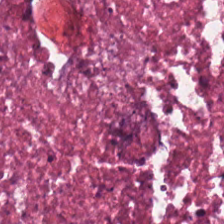H&E-stained tissue section — This field is debris.
